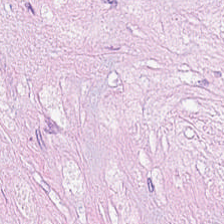0.5 µm/px. Hematoxylin and eosin. Desmoplastic stroma.
